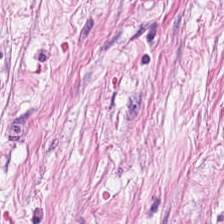WSI patch. Hematoxylin-and-eosin stained section.
The tissue here is tumor-associated stroma.
